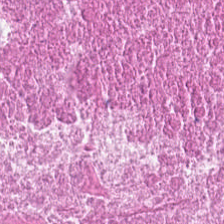Classification: cellular debris.
